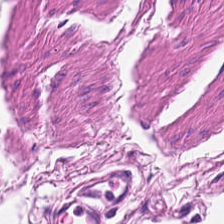Tissue: smooth-muscle tissue.
